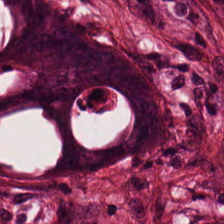0.5 µm per pixel. WSI patch. H&E stain. Predominantly colorectal adenocarcinoma.
